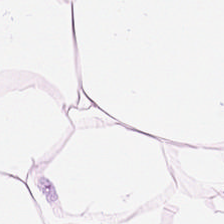WSI patch. H&E-stained tissue section — Tissue type: adipocytes.
